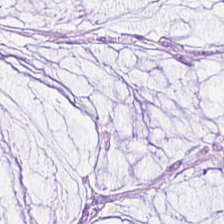H&E-stained tissue section. This field is extracellular mucin.
